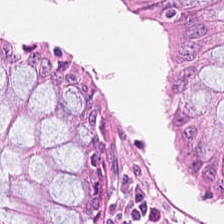Finding → normal colonic mucosa.
